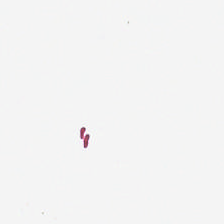Stain: hematoxylin and eosin.
Preparation: FFPE tissue section.
Content: background (no tissue).
